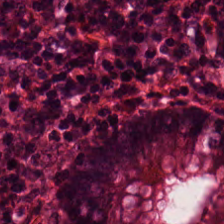Hematoxylin and eosin. Tissue: normal colon mucosa.
